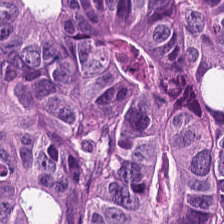Stain: hematoxylin-and-eosin stained section.
Resolution: 0.5 microns per pixel.
Tissue type: tumor epithelium.
